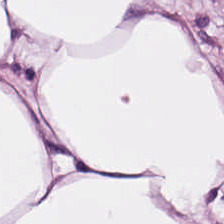H&E-stained tissue section.
{"tissue_type": "adipose"}
